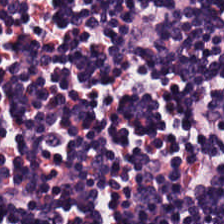224×224 px tile · H&E.
This patch shows lymphocyte aggregate.
